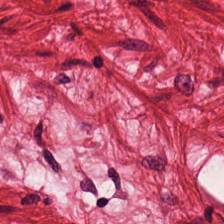Hematoxylin and eosin — Tissue = smooth-muscle tissue.
